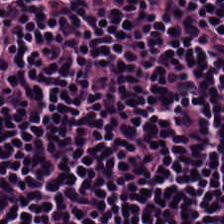Stain: H&E stain.
Acquisition: whole-slide-image patch.
Preparation: formalin-fixed paraffin-embedded section.
Tissue class: lymphocytes.
